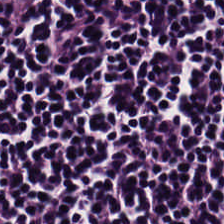FFPE tissue section · 0.5 microns per pixel · H&E.
{"tissue_type": "lymphocytes"}
